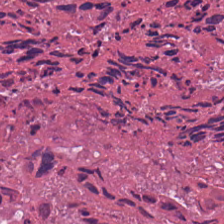0.5 µm per pixel. Hematoxylin and eosin. Whole-slide-image patch — Tissue = debris.
